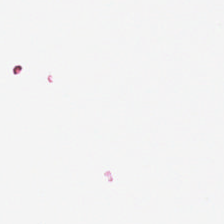Hematoxylin and eosin · FFPE — This field is background (no tissue).
